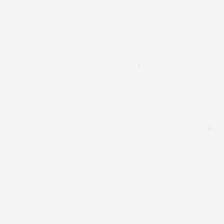This patch shows background.
